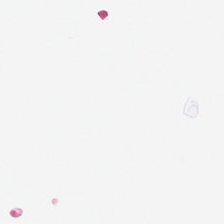The classification is empty background.
